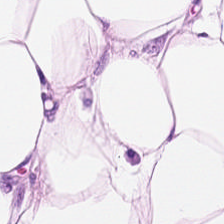H&E-stained tissue section. Showing fat tissue.
